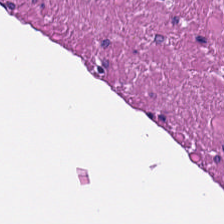H&E-stained tissue section.
Tissue: muscularis.
